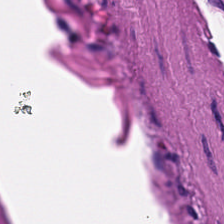Tissue class = smooth muscle.
